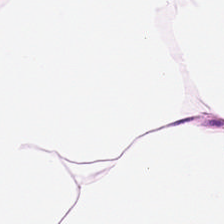H&E.
Predominant tissue: adipocytes.
